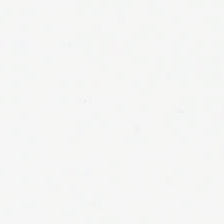Stain: hematoxylin and eosin.
Preparation: FFPE.
Classification: no tissue.
